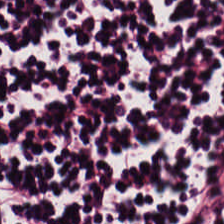Hematoxylin-and-eosin stained section; 224×224 pixel tile. Predominantly lymphocytic infiltrate.
